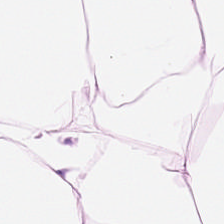This field is adipose tissue.
